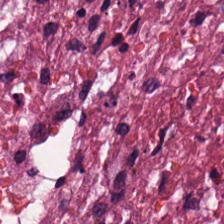Hematoxylin and eosin; 0.5 microns per pixel. The predominant tissue is necrotic debris.
